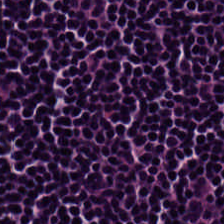H&E. Tissue class — lymphocyte aggregate.
